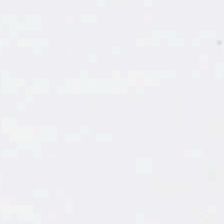Stain: H&E.
Preparation: FFPE.
Resolution: 0.5 microns per pixel.
Classification: background.
